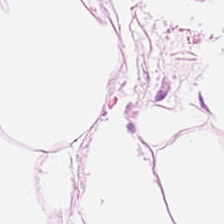This field is adipocytes.
